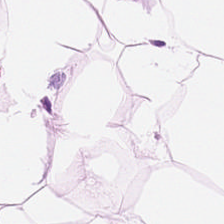H&E stain — Histology → adipose.
